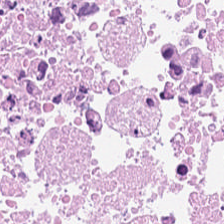Stain: hematoxylin-and-eosin stained section.
Preparation: FFPE.
Tissue: necrotic debris.
